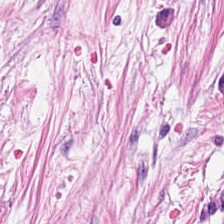H&E patch showing tumor stroma.
